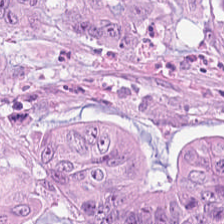H&E. Tissue type = colorectal adenocarcinoma epithelium.
